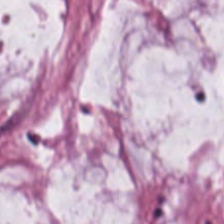Stain: hematoxylin and eosin.
Tile size: 224×224 px tile.
Tissue: mucin.
